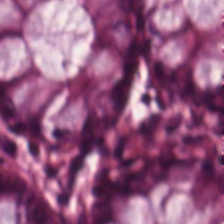224×224 px tile; H&E; whole-slide-image patch. Q: Classify this patch.
A: It is non-neoplastic colon mucosa.
